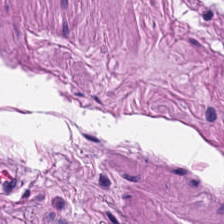Hematoxylin and eosin.
Classification — smooth-muscle tissue.
